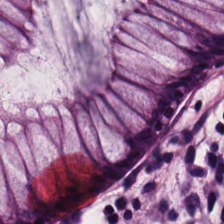Stain: H&E.
Tissue class: non-neoplastic colon mucosa.
